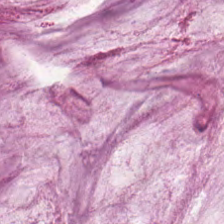Q: Classify this patch.
A: Mucin.
